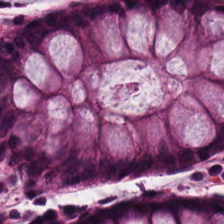H&E-stained section; the field shows benign colonic mucosa.
